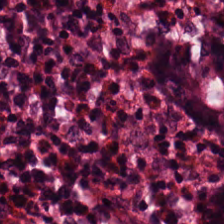224×224 px tile · H&E.
The predominant tissue is normal colon mucosa.
